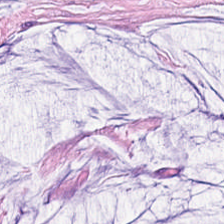H&E — The tissue is mucus.
